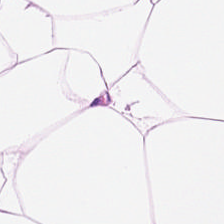Q: What type of tissue is this?
A: The field shows adipose tissue.
